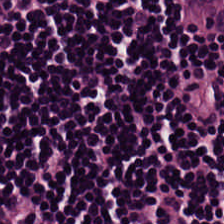Whole-slide-image patch · H&E. The predominant tissue is lymphoid infiltrate.
